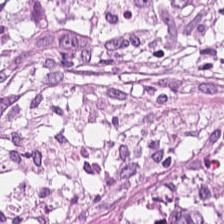Whole-slide-image patch. H&E stain — The tissue here is tumor-associated stroma.
